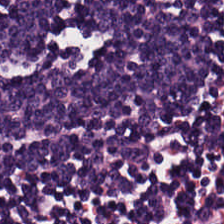H&E; 20× equivalent magnification; 224×224 pixel tile.
This patch shows lymphocytes.
